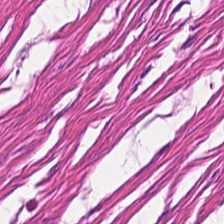Stain: H&E stain.
Tissue: smooth muscle.
